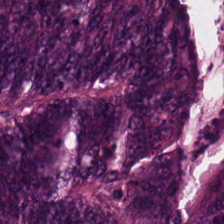Hematoxylin-and-eosin stained section.
Histology → colorectal adenocarcinoma epithelium.
